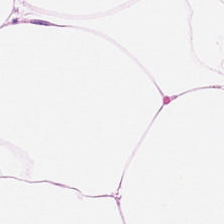H&E — Classification = adipose.
